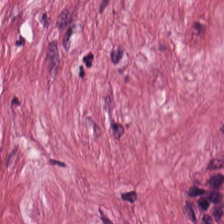H&E-stained tissue section. WSI patch — This field is tumor-associated stroma.
